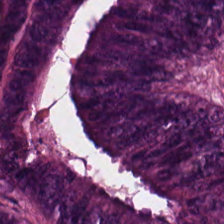Predominantly colorectal adenocarcinoma epithelium.
